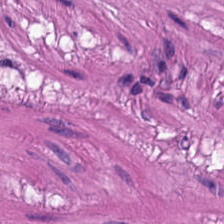Hematoxylin and eosin. Predominantly smooth muscle.
